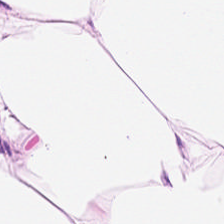H&E patch showing fat tissue.
